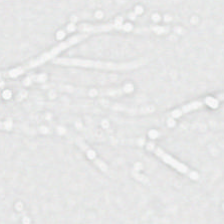Brightfield. H&E-stained tissue section.
Background — no tissue in this field.
